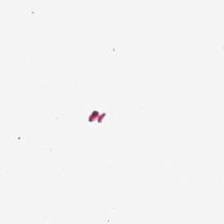Stain: hematoxylin-and-eosin stained section.
Preparation: formalin-fixed paraffin-embedded section.
Content: empty background.
